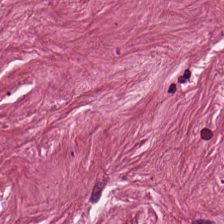Stain: H&E stain.
Acquisition: WSI patch.
Predominant tissue: tumor stroma.
